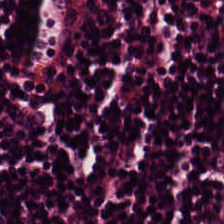H&E-stained tissue section — The tissue type is lymphocytic infiltrate.
